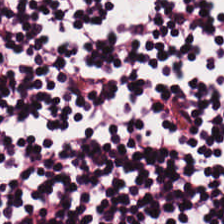Hematoxylin-and-eosin stained section · FFPE tissue section — Tissue = lymphoid infiltrate.
